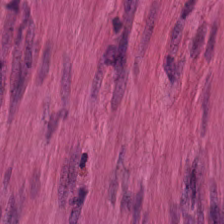0.5 µm per pixel. H&E-stained tissue section. 224×224 pixel tile.
{"tissue_type": "smooth muscle"}
